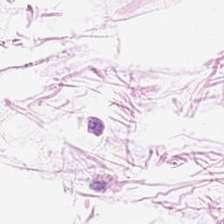The predominant tissue is fat tissue.
